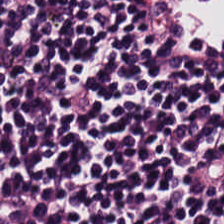H&E · FFPE — Q: Identify the tissue.
A: The field shows lymphocytic infiltrate.
